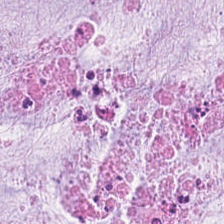Hematoxylin-and-eosin stained section. FFPE tissue section.
Tissue type = mucin.
